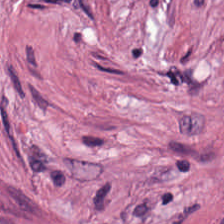20× equivalent magnification · hematoxylin and eosin.
This patch shows desmoplastic stroma.
